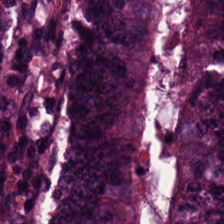Tissue class — tumor epithelium.
